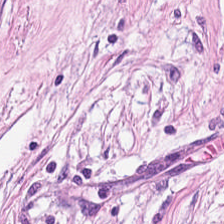0.5 µm per pixel. Formalin-fixed paraffin-embedded section. Hematoxylin-and-eosin stained section.
Showing tumor stroma.
